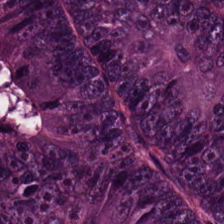FFPE · H&E stain — Showing adenocarcinoma.
